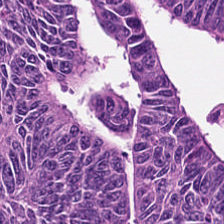{"tissue_type": "tumor epithelium"}
